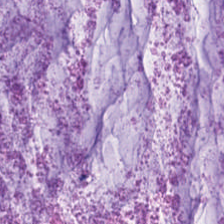Hematoxylin-and-eosin stained section · 224×224 px tile · 0.5 microns per pixel — The tissue here is mucin.
